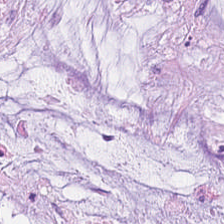H&E-stained tissue section — Q: What is the predominant tissue type?
A: The field shows extracellular mucin.
